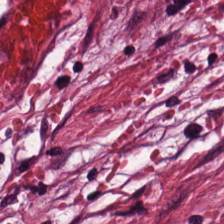20× equivalent magnification; H&E.
Tissue class — desmoplastic stroma.
